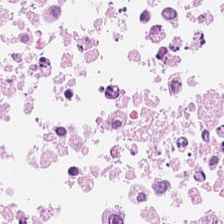Hematoxylin-and-eosin stained section — Q: What is shown here?
A: This is cellular debris.
